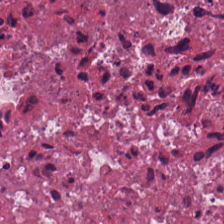H&E stain. {"tissue_type": "debris"}
